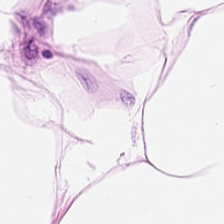H&E.
Histology — adipose.
